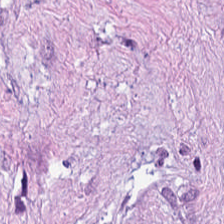Tissue class — desmoplastic stroma.
